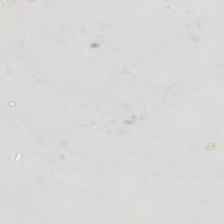Classification — background.
